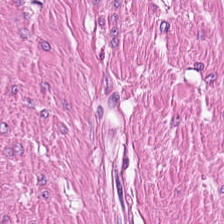H&E-stained tissue section.
Tissue class — smooth-muscle tissue.
